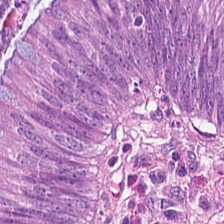Stain: hematoxylin-and-eosin stained section.
Tile size: 224×224 pixel tile.
Preparation: FFPE.
Tissue class: colorectal adenocarcinoma epithelium.
